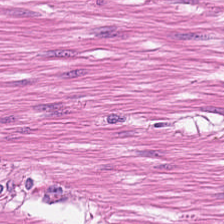H&E stain · 224×224 px tile. Q: What tissue is shown?
A: This is smooth-muscle tissue.
